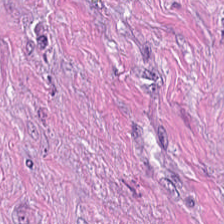224×224 px patch · formalin-fixed paraffin-embedded section · hematoxylin and eosin.
Q: What is shown here?
A: Tumor stroma.
